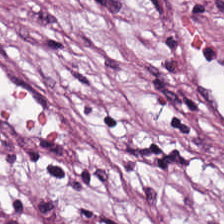Hematoxylin and eosin. Showing tumor-associated stroma.
